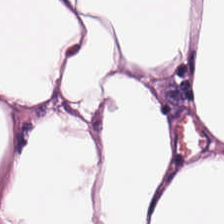H&E stain. The predominant tissue is adipocytes.
